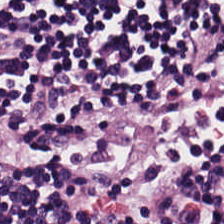20× equivalent magnification. H&E-stained tissue section.
Tissue class: lymphocytes.
